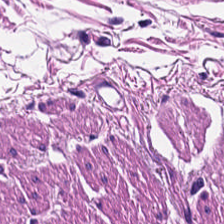Finding — smooth-muscle tissue.
